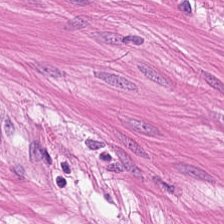Q: What tissue is shown?
A: This is muscularis.
